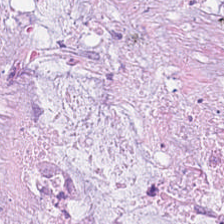H&E stain.
Q: What is shown in this field?
A: This is mucin.
